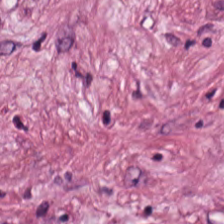H&E-stained tissue section — Tissue — tumor-associated stroma.
